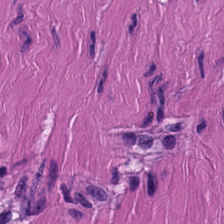Formalin-fixed paraffin-embedded section; H&E-stained tissue section; WSI patch — Tissue — smooth muscle.
